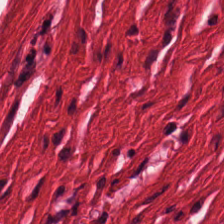H&E-stained tissue section.
Tissue: smooth-muscle tissue.
